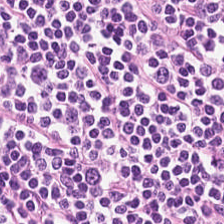0.5 µm/px. 224×224 px tile. Hematoxylin-and-eosin stained section.
Histology → lymphoid infiltrate.
